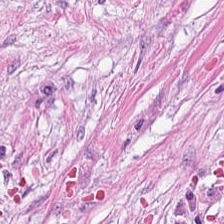Hematoxylin and eosin. Formalin-fixed paraffin-embedded section.
Q: Classify this patch.
A: The field shows cancer-associated stroma.
